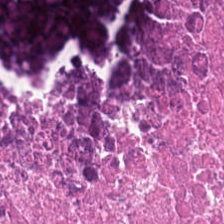H&E; 0.5 microns per pixel. Classification = necrotic debris.
